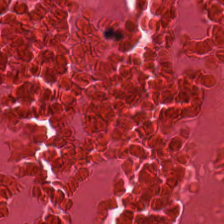WSI patch · FFPE tissue section · H&E-stained tissue section — The predominant tissue is necrotic debris.
